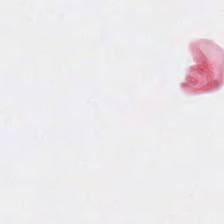{"content": "no tissue"}
